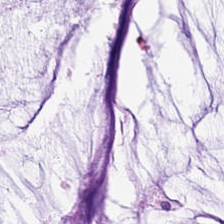H&E.
Predominantly extracellular mucin.
